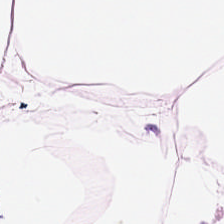Hematoxylin and eosin.
This patch shows fat tissue.
